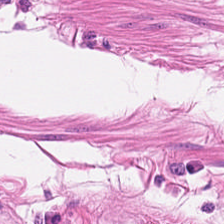H&E stain. 224×224 px tile. Whole-slide-image patch. Q: What does this patch show?
A: Muscularis.
